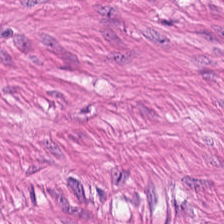Tissue: smooth-muscle tissue.
